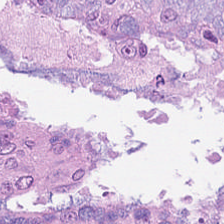H&E-stained tissue section. 224×224 px patch.
{"tissue_type": "colorectal adenocarcinoma epithelium"}
